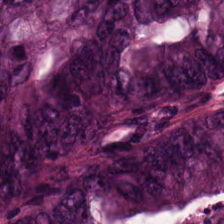H&E-stained tissue section.
Q: What is shown in this field?
A: This is colorectal adenocarcinoma.
